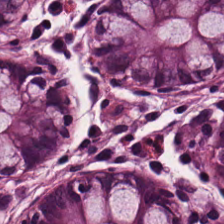H&E stain. Q: Identify the tissue.
A: It is normal colonic mucosa.
